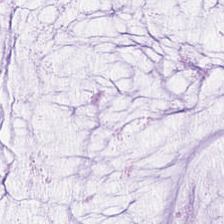H&E.
Showing extracellular mucin.
